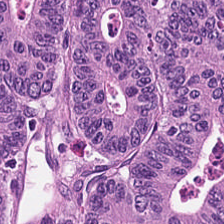H&E — malignant epithelium.
